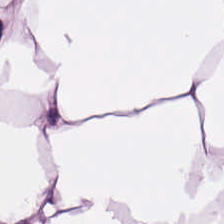FFPE; brightfield; hematoxylin-and-eosin stained section. Finding → adipocytes.
